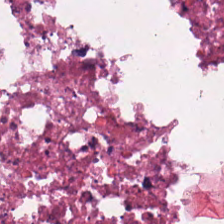Stain: H&E-stained tissue section.
Resolution: 0.5 µm/px.
Tile size: 224×224 pixel tile.
Tissue type: necrotic debris.
